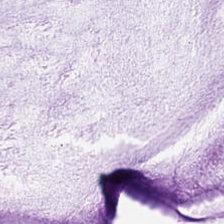FFPE tissue section; 0.5 µm per pixel; hematoxylin and eosin — Q: What tissue is shown?
A: The field shows extracellular mucin.
